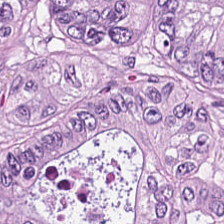224×224 pixel tile. Hematoxylin-and-eosin stained section — Adenocarcinoma.
